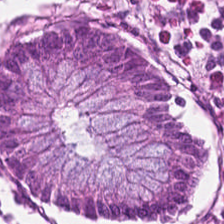The predominant tissue is normal colonic mucosa.
